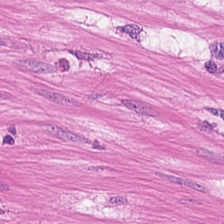Hematoxylin and eosin — Tissue type = smooth-muscle tissue.
